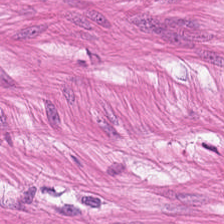Hematoxylin and eosin — Showing smooth-muscle tissue.
